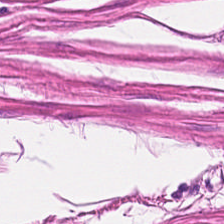Hematoxylin and eosin · 224×224 px tile. Classification = smooth muscle.
